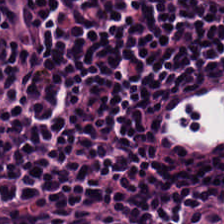FFPE. 224×224 pixel tile. Hematoxylin-and-eosin stained section.
Tissue = lymphocytic infiltrate.
